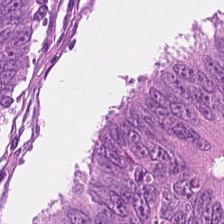Hematoxylin-and-eosin stained section · 20× equivalent magnification. Finding — colorectal adenocarcinoma epithelium.
